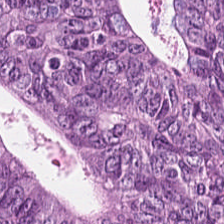Brightfield microscopy · hematoxylin and eosin. {"tissue_type": "colorectal adenocarcinoma epithelium"}
